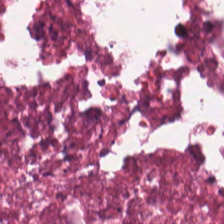The predominant tissue is cellular debris.
